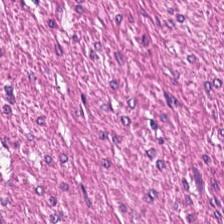0.5 µm/px · hematoxylin-and-eosin stained section.
The tissue class is muscularis.
